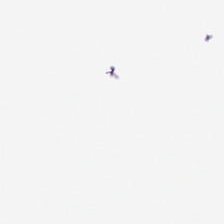H&E stain.
Background (no tissue).
